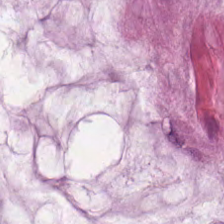Hematoxylin-and-eosin stained section. FFPE tissue section. Whole-slide-image patch — Finding — mucin.
